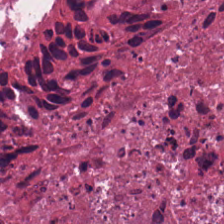H&E · 0.5 µm per pixel.
Tissue: necrotic debris.
